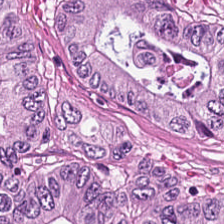Hematoxylin and eosin. The tissue here is adenocarcinoma.
